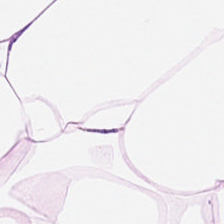WSI patch · hematoxylin-and-eosin stained section — This field is fat tissue.
